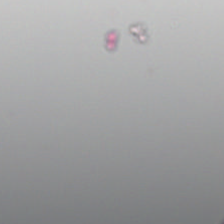Whole-slide-image patch. H&E. FFPE tissue section.
Q: What is shown here?
A: This is no tissue.
